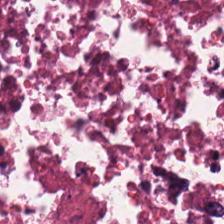H&E-stained tissue section; 224×224 px patch. Q: What tissue type is shown here?
A: It is necrotic debris.
